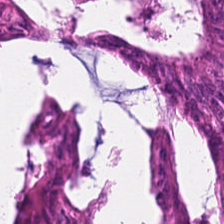H&E stain · 0.5 µm per pixel.
Q: What tissue type is shown here?
A: The field shows tumor epithelium.
